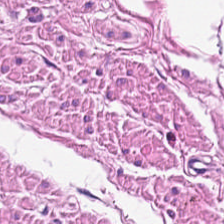Stain: H&E stain.
Tissue: smooth-muscle tissue.
